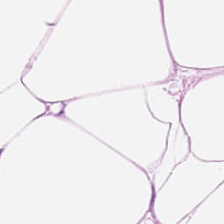Finding → adipose tissue.
